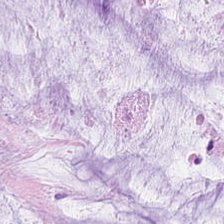Formalin-fixed paraffin-embedded section. 224×224 pixel tile. H&E. Showing mucin.
